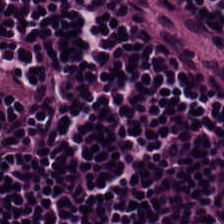Tissue — lymphocytes.
